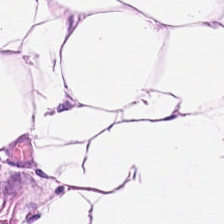Stain: hematoxylin and eosin.
Tissue type: adipocytes.
